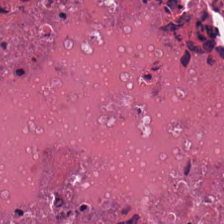Stain: H&E-stained tissue section.
Acquisition: brightfield.
Tissue type: cellular debris.
